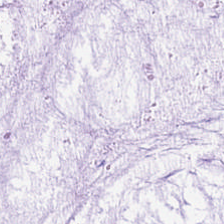Impression → mucus.
